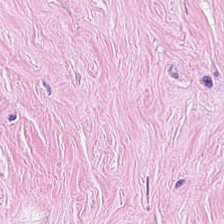H&E-stained tissue section.
Finding — tumor stroma.
